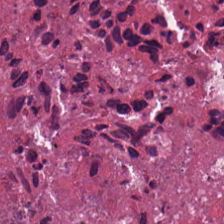H&E.
Q: Identify the tissue.
A: It is cellular debris.
